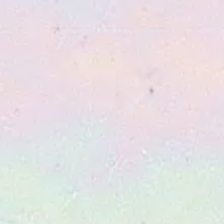H&E. 224×224 pixel tile. FFPE.
No tissue.
